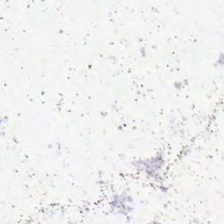0.5 µm per pixel · hematoxylin and eosin · 224×224 px patch. Empty field — background.
